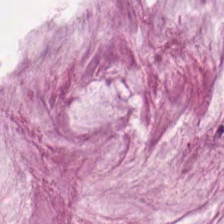Stain: H&E-stained tissue section.
Tile size: 224×224 px tile.
Classification: mucin.
